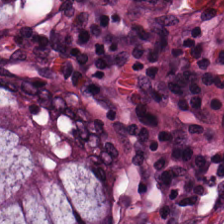224×224 pixel tile; hematoxylin and eosin; WSI patch.
Normal colon mucosa.
